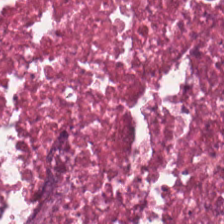H&E-stained tissue section. FFPE.
Q: What is the predominant tissue type?
A: Debris.
